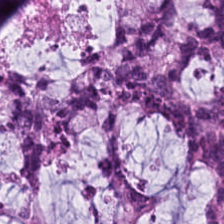H&E-stained tissue section. 0.5 µm per pixel — {"tissue_type": "mucin"}
